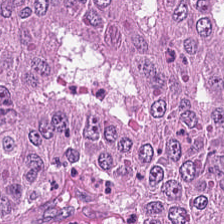H&E · brightfield microscopy. Histology — colorectal adenocarcinoma.
